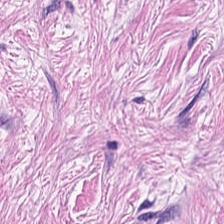Impression → tumor stroma.
